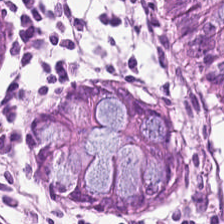Brightfield; hematoxylin and eosin — Q: What is shown in this field?
A: This is benign colonic mucosa.
